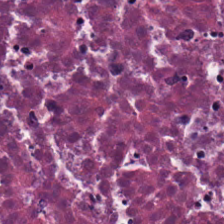Hematoxylin-and-eosin stained section. Showing debris.
